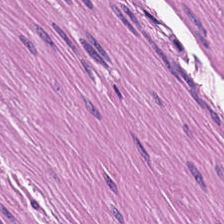H&E stain — This patch shows smooth-muscle tissue.
